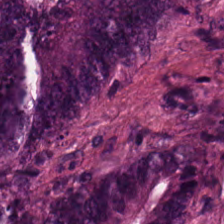Tissue: colorectal adenocarcinoma.
